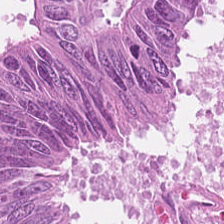{"tissue_type": "tumor epithelium"}
